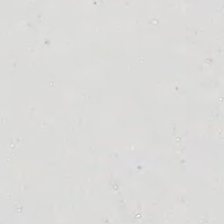Classification: background.
